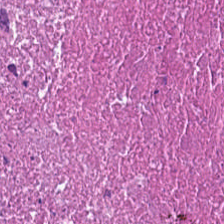0.5 µm/px. H&E-stained tissue section. FFPE tissue section — Histology — cellular debris.
